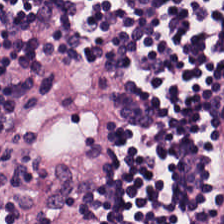Tissue — lymphocytic infiltrate.
